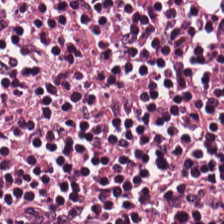Showing lymphoid infiltrate.
